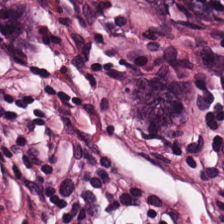Stain: H&E.
Classification: normal colonic mucosa.
